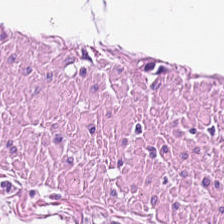Tissue class — smooth muscle.
